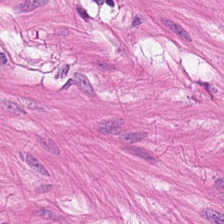Q: What is shown here?
A: Smooth-muscle tissue.
